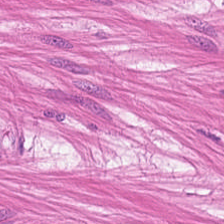FFPE · H&E stain.
Q: What type of tissue is this?
A: This is smooth-muscle tissue.
